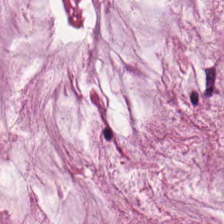Stain: hematoxylin-and-eosin stained section.
Classification: mucin.
